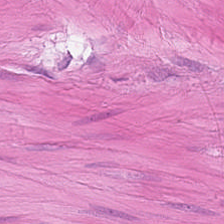WSI patch; hematoxylin and eosin — The predominant tissue is muscularis.
